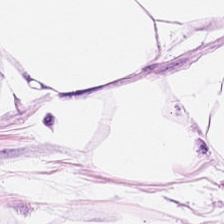Tissue — adipose tissue.
